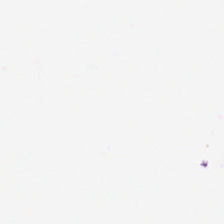Histology — no tissue.
